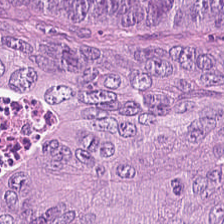Stain: hematoxylin-and-eosin stained section.
Tissue: tumor epithelium.
